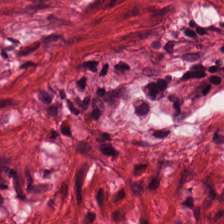Stain: hematoxylin-and-eosin stained section.
Predominant tissue: smooth-muscle tissue.
